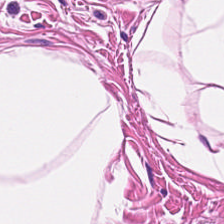Stain: hematoxylin and eosin.
Classification: muscularis.
